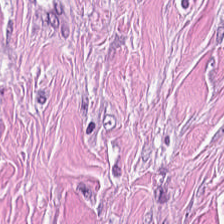This field is tumor-associated stroma.
